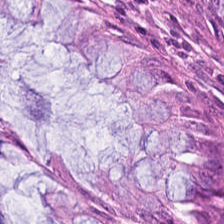Hematoxylin-and-eosin stained section · 0.5 microns per pixel — Finding — benign colonic mucosa.
